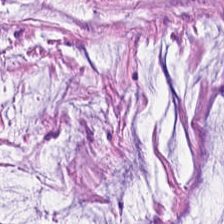Hematoxylin and eosin.
This field is extracellular mucin.
